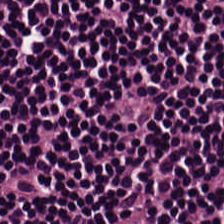FFPE tissue section; H&E stain. Tissue class: lymphocytic infiltrate.
